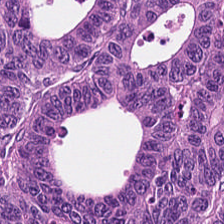H&E-stained tissue section. This patch shows colorectal adenocarcinoma epithelium.
